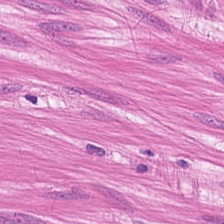H&E-stained section; the field shows smooth-muscle tissue.
